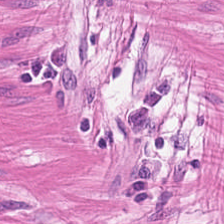Hematoxylin and eosin. WSI patch. Formalin-fixed paraffin-embedded section. Showing smooth-muscle tissue.
